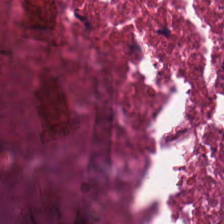Hematoxylin-and-eosin stained section. WSI patch. This field is necrotic debris.
